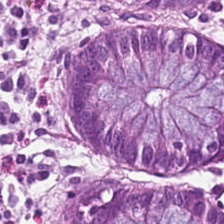H&E-stained tissue section.
The predominant tissue is normal colon mucosa.
